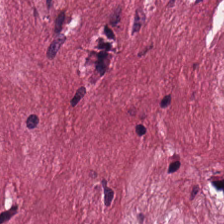0.5 µm per pixel. H&E.
Predominantly tumor-associated stroma.
